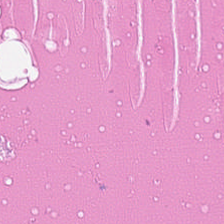H&E — debris.
